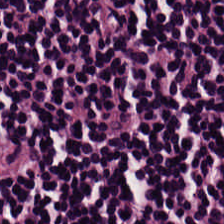H&E · whole-slide-image patch.
Lymphocyte aggregate.
